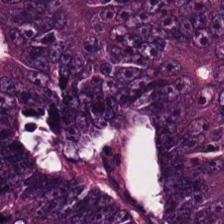Hematoxylin and eosin — The classification is colorectal adenocarcinoma.
